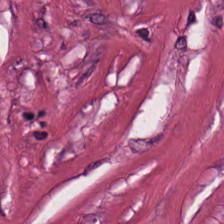Q: Identify the tissue.
A: This is tumor-associated stroma.
